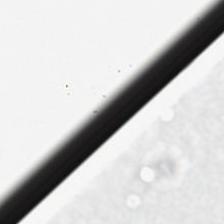Classification = empty background.
